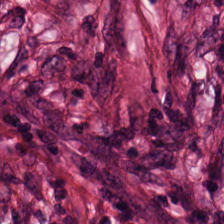224×224 px patch. H&E-stained tissue section. 20× equivalent magnification. This patch shows tumor-associated stroma.
